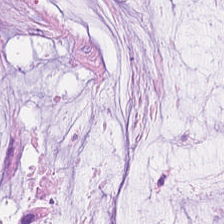Formalin-fixed paraffin-embedded section · H&E stain — Predominantly mucus.
